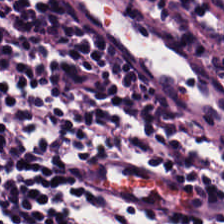0.5 microns per pixel · H&E stain.
Predominant tissue — lymphocytic infiltrate.
